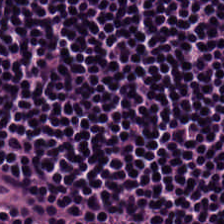H&E. Tissue class: lymphocytes.
